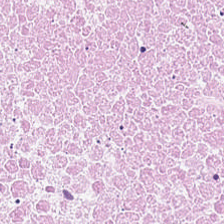H&E stain. Q: What is shown in this field?
A: This is cellular debris.
